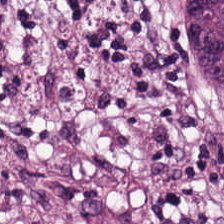Formalin-fixed paraffin-embedded section; whole-slide-image patch; H&E stain.
Predominantly cancer-associated stroma.
